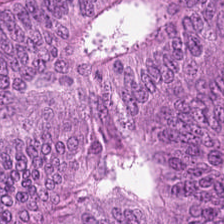Stain: H&E stain.
Tissue type: colorectal adenocarcinoma.
